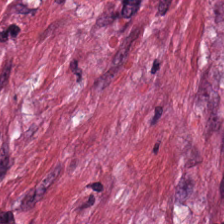H&E-stained tissue section — Predominantly cancer-associated stroma.
